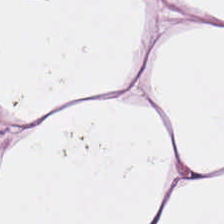Tissue class: adipocytes.
